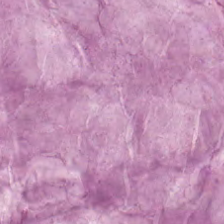Stain: H&E-stained tissue section.
Preparation: FFPE tissue section.
Tissue class: mucus.
